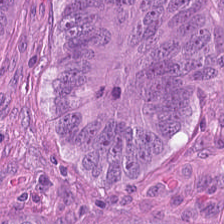H&E. 224×224 px tile.
The predominant tissue is adenocarcinoma.
